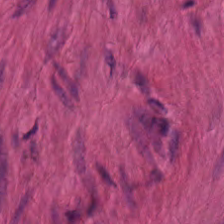The tissue here is smooth muscle.
